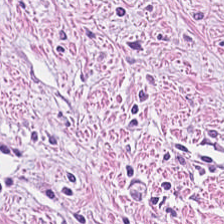H&E. Predominant tissue — tumor-associated stroma.
